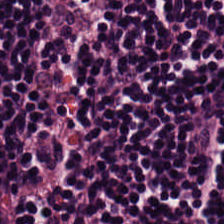H&E stain — This field is lymphocytes.
